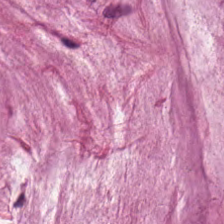Stain: H&E-stained tissue section.
Tissue type: mucus.
